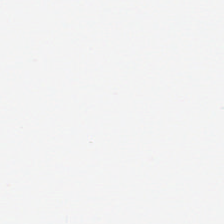Brightfield. H&E-stained tissue section — This patch shows no tissue.
